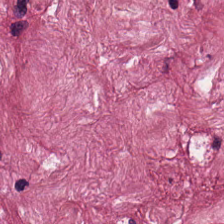Stain: hematoxylin-and-eosin stained section.
Predominant tissue: tumor-associated stroma.
